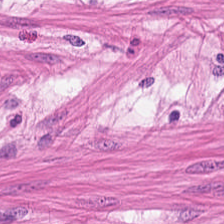Muscularis.
